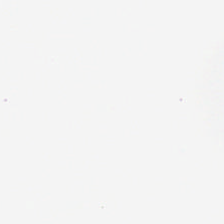H&E — {"content": "background (no tissue)"}
